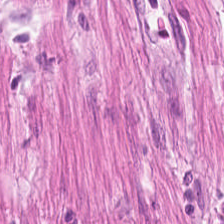Q: What type of tissue is this?
A: It is smooth muscle.
